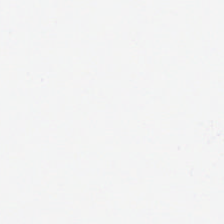H&E stain. This patch shows background (no tissue).
